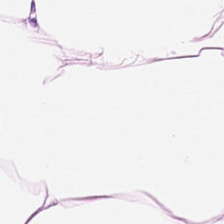Whole-slide-image patch · H&E-stained tissue section. This patch shows adipose tissue.
